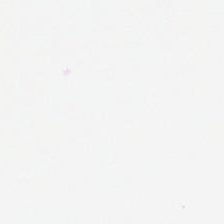0.5 µm/px · hematoxylin and eosin · FFPE — Empty background.
